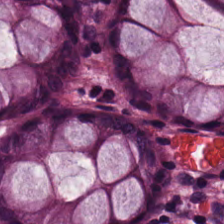Formalin-fixed paraffin-embedded section; 20× equivalent magnification; H&E — Predominant tissue — normal colonic mucosa.
